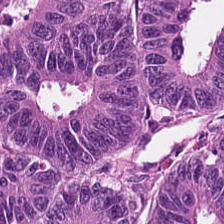H&E stain. The predominant tissue is colorectal adenocarcinoma epithelium.
